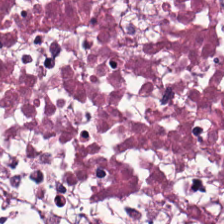224×224 px patch · hematoxylin-and-eosin stained section.
Tissue class — debris.
